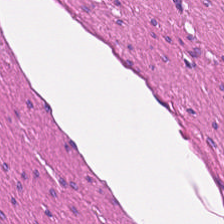Stain: hematoxylin-and-eosin stained section.
Resolution: 0.5 microns per pixel.
Tissue type: smooth muscle.
